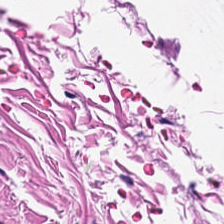H&E patch showing smooth-muscle tissue.
